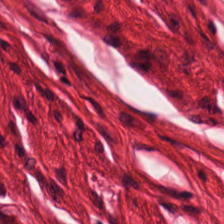Classification = muscularis.
